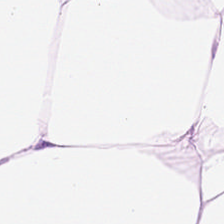H&E-stained tissue section. The tissue class is adipose tissue.
